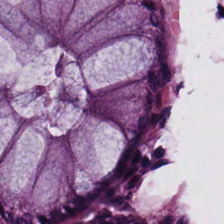H&E patch showing normal colonic mucosa.
